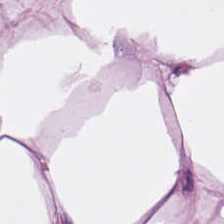H&E stain; 0.5 microns per pixel; 224×224 pixel tile — {"tissue_type": "adipose"}
